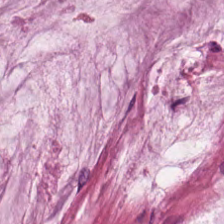H&E-stained tissue section; brightfield; 0.5 µm per pixel.
Q: Classify this patch.
A: Mucin.
